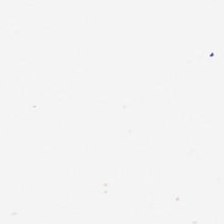H&E-stained tissue section.
{"content": "background"}
